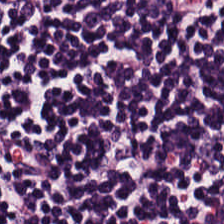0.5 microns per pixel · hematoxylin and eosin.
Q: What is shown here?
A: This is lymphocytic infiltrate.
